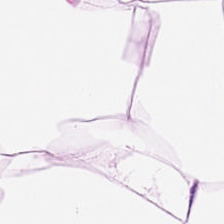Hematoxylin-and-eosin stained section.
Impression → fat tissue.
